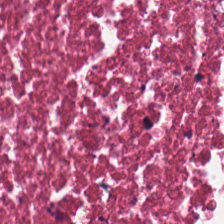WSI patch; H&E stain. Finding → cellular debris.
